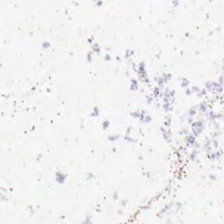224×224 px patch · 0.5 µm/px · H&E-stained tissue section. Q: What is shown in this field?
A: Empty background.
